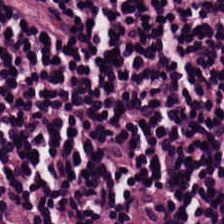H&E-stained tissue section. 224×224 px tile. Lymphoid infiltrate.
